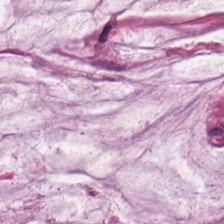H&E.
Finding — extracellular mucin.
